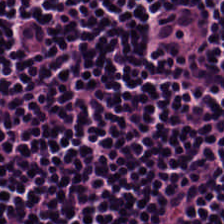Stain: hematoxylin-and-eosin stained section.
Tissue: lymphoid infiltrate.
